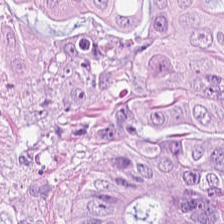20× equivalent magnification. WSI patch. Hematoxylin-and-eosin stained section — Colorectal adenocarcinoma.
